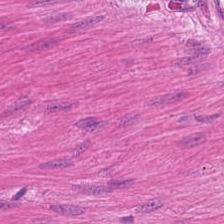H&E-stained tissue section; WSI patch — Finding — muscularis.
